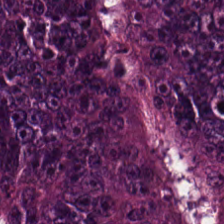H&E stain — The tissue class is adenocarcinoma.
